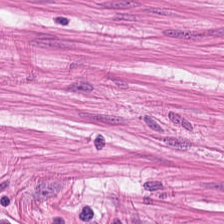Hematoxylin-and-eosin stained section. This patch shows smooth-muscle tissue.
